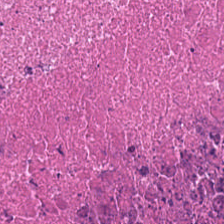This patch shows necrotic debris.
